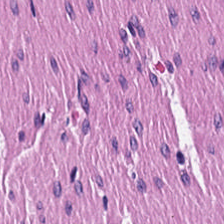H&E stain. Whole-slide-image patch — The predominant tissue is muscularis.
